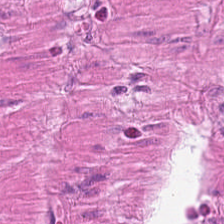This patch shows muscularis.
